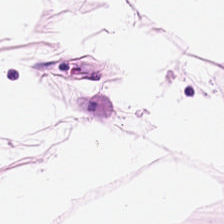FFPE tissue section · H&E-stained tissue section — Histology → adipose tissue.
